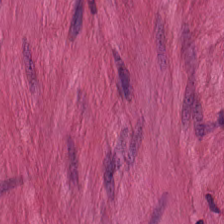Hematoxylin and eosin — Tissue class = muscularis.
